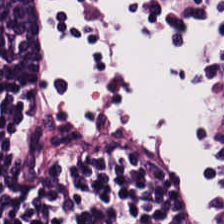Hematoxylin-and-eosin stained section. Classification: lymphocytic infiltrate.
